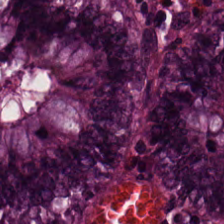H&E stain; 0.5 µm per pixel — Tissue: benign colonic mucosa.
